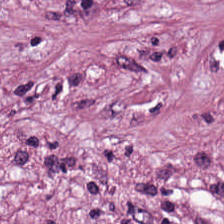Hematoxylin and eosin.
Histology — desmoplastic stroma.
